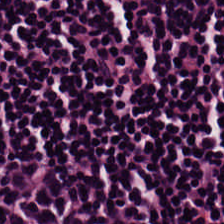H&E. The tissue type is lymphocytic infiltrate.
